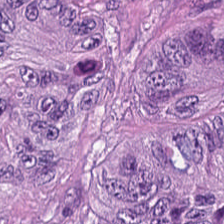Hematoxylin and eosin; 0.5 µm/px — Tissue type: malignant epithelium.
